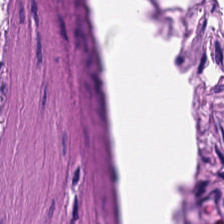Tissue class: smooth-muscle tissue.
